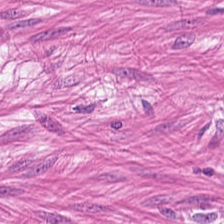H&E-stained tissue section.
Showing muscularis.
